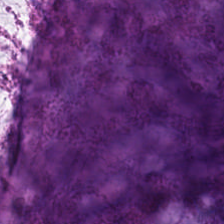Hematoxylin-and-eosin stained section.
Q: What is the predominant tissue type?
A: It is extracellular mucin.
